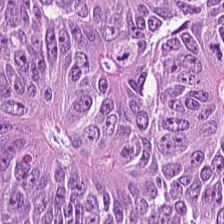Stain: hematoxylin and eosin.
Acquisition: whole-slide-image patch.
Classification: colorectal adenocarcinoma.
